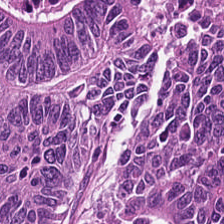Tissue class: tumor epithelium.
